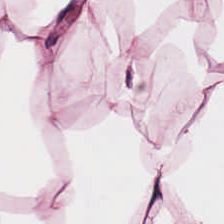H&E stain — Showing adipocytes.
